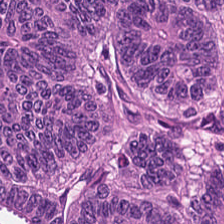Hematoxylin-and-eosin stained section. Showing tumor epithelium.
